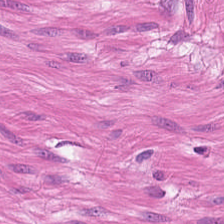Hematoxylin and eosin · 0.5 microns per pixel. Predominant tissue — smooth-muscle tissue.
